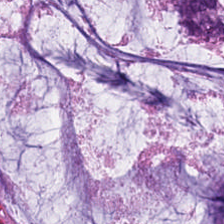H&E-stained tissue section. This field is mucin.
